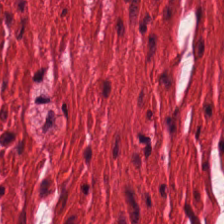Brightfield microscopy. H&E.
{"tissue_type": "smooth muscle"}
